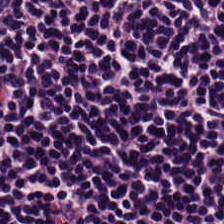H&E-stained tissue section.
Tissue class — lymphocytes.
